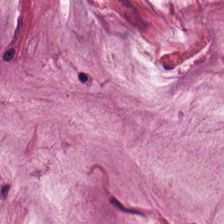H&E-stained tissue section. Finding → mucin.
